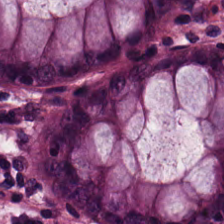FFPE tissue section · H&E.
Classification: normal colonic mucosa.
